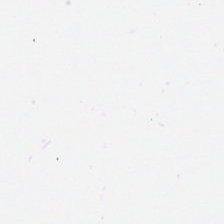H&E stain. Empty field — background.
